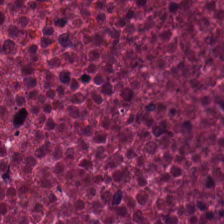0.5 µm per pixel · H&E stain · 224×224 px tile. The tissue here is debris.
